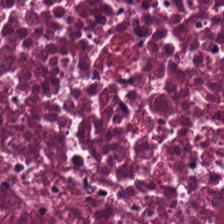Hematoxylin-and-eosin stained section · FFPE tissue section. Tissue: debris.
